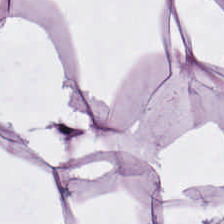Formalin-fixed paraffin-embedded section; hematoxylin-and-eosin stained section.
Finding — adipocytes.
